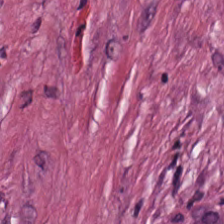H&E-stained section; the field shows cancer-associated stroma.
